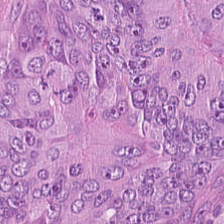20× equivalent magnification; hematoxylin-and-eosin stained section — The tissue class is adenocarcinoma.
